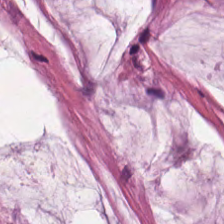Stain: H&E-stained tissue section.
Classification: mucus.
